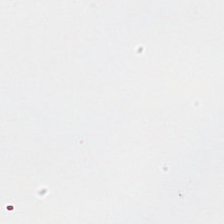Hematoxylin and eosin.
Histology → background (no tissue).
